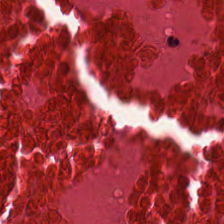Cellular debris.
